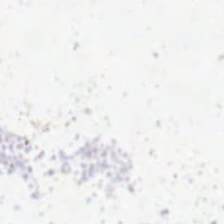Stain: H&E.
Acquisition: WSI patch.
Field content: empty background.
